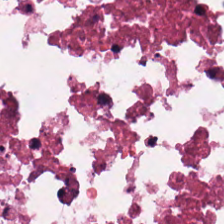H&E-stained section; the field shows cellular debris.
